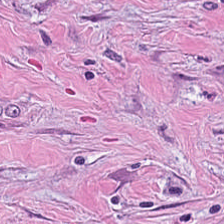Hematoxylin and eosin. Showing tumor stroma.
